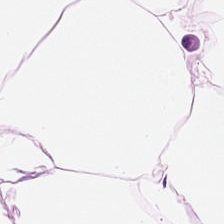Stain: H&E stain.
Predominant tissue: adipose tissue.
